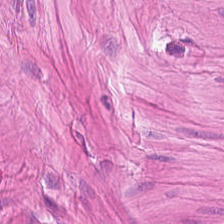20× equivalent magnification. Hematoxylin-and-eosin stained section. Brightfield. Tissue = smooth-muscle tissue.
